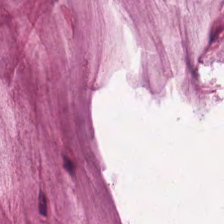H&E stain.
Impression → mucin.
